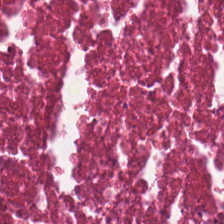Hematoxylin and eosin; WSI patch; 0.5 microns per pixel — Histology → cellular debris.
